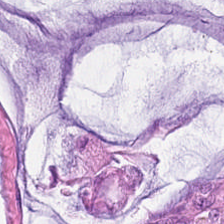Q: What is the predominant tissue type?
A: It is mucin.
